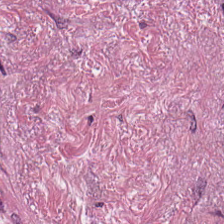H&E. Predominant tissue = tumor-associated stroma.
